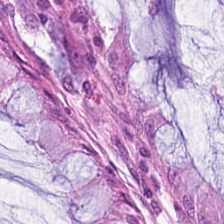Histology → normal colonic mucosa.
